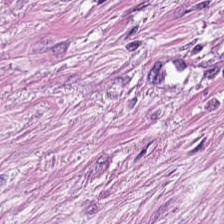Stain: hematoxylin-and-eosin stained section.
Tissue class: tumor stroma.
